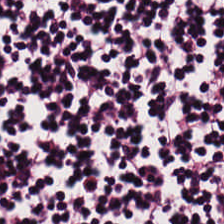Stain: H&E.
Acquisition: brightfield microscopy.
Tile size: 224×224 pixel tile.
Predominant tissue: lymphoid infiltrate.
